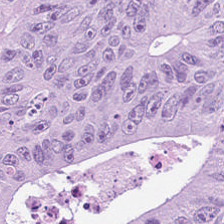Hematoxylin-and-eosin stained section; FFPE.
Showing tumor epithelium.
